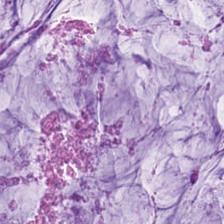Stain: hematoxylin and eosin.
Resolution: 0.5 microns per pixel.
Tissue class: extracellular mucin.
